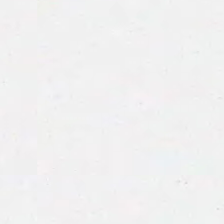Field content — background.
